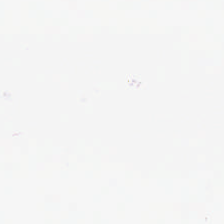224×224 px patch. H&E-stained tissue section — Classification — background (no tissue).
